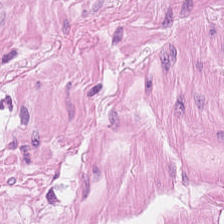Hematoxylin and eosin. The predominant tissue is smooth-muscle tissue.
